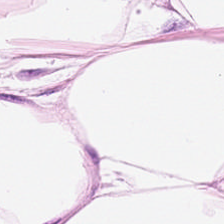Showing adipose tissue.
